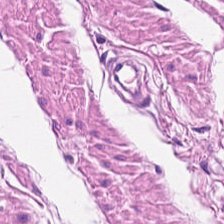Showing smooth muscle.
